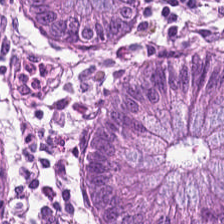The tissue here is normal colonic mucosa.
